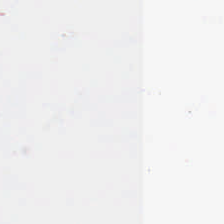Hematoxylin and eosin. Empty field — background.
